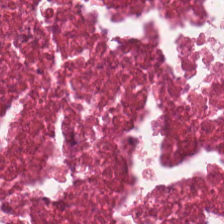Stain: H&E.
Tissue type: cellular debris.
